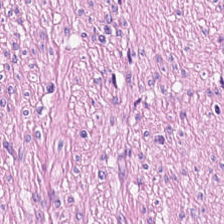H&E. Q: What is the predominant tissue type?
A: Smooth-muscle tissue.
